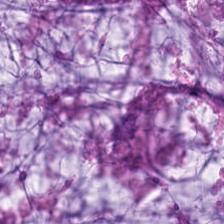H&E stain; brightfield microscopy.
Showing mucus.
